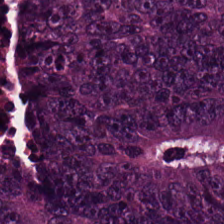FFPE tissue section; H&E stain. Predominantly adenocarcinoma.
